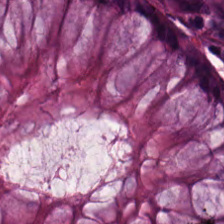Q: What is shown in this field?
A: This is normal colonic mucosa.
